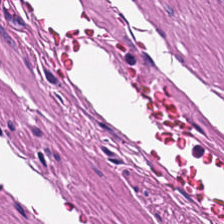224×224 px patch; H&E-stained tissue section.
Showing smooth muscle.
